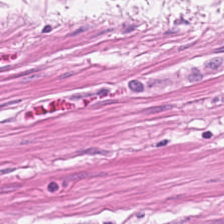Tissue type — muscularis.
